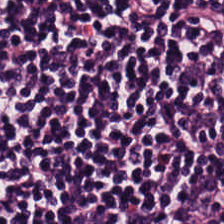Tissue type = lymphocyte aggregate.
